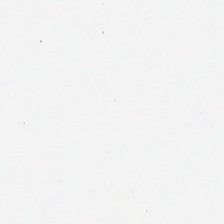20× equivalent magnification; H&E-stained tissue section — The content is empty background.
